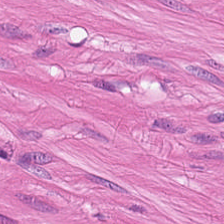Hematoxylin and eosin; 20× equivalent magnification. Q: What is shown here?
A: It is muscularis.
